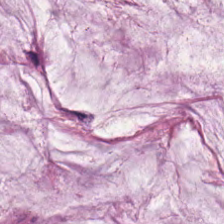Predominant tissue: mucus.
